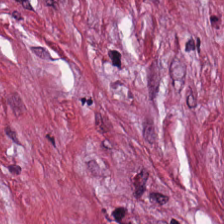Finding → tumor stroma.
